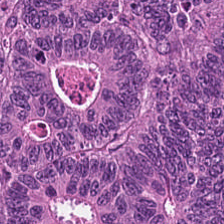Hematoxylin-and-eosin stained section. FFPE tissue section. 224×224 px tile — The tissue is malignant epithelium.
